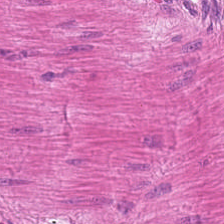H&E-stained tissue section · 0.5 microns per pixel.
The predominant tissue is smooth muscle.
